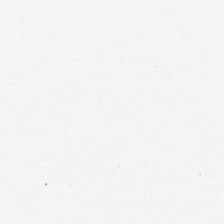Stain: hematoxylin and eosin.
Classification: background.
